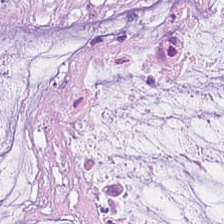Stain: hematoxylin-and-eosin stained section.
Acquisition: brightfield.
Tissue: mucus.
